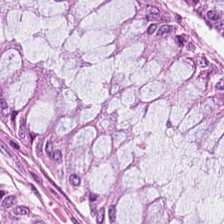H&E stain — Tissue type: benign colonic mucosa.
